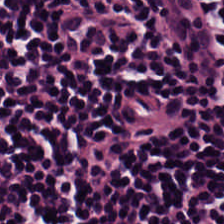This field is lymphoid infiltrate.
